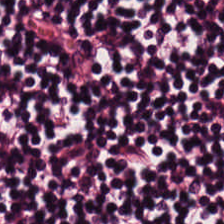H&E. {"tissue_type": "lymphocyte aggregate"}
